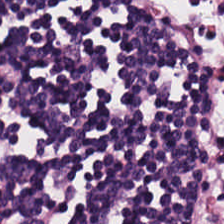224×224 px patch · hematoxylin-and-eosin stained section. Showing lymphocytes.
